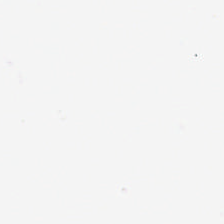Hematoxylin and eosin. 224×224 px patch. 0.5 µm/px. Impression → background (no tissue).
